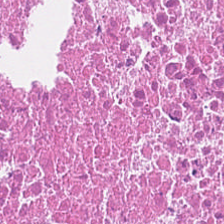Stain: hematoxylin and eosin.
Predominant tissue: cellular debris.
